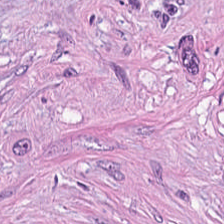20× equivalent magnification · 224×224 pixel tile · H&E-stained tissue section. Showing cancer-associated stroma.
